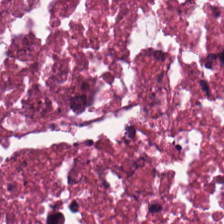224×224 px tile; FFPE tissue section; H&E stain.
Predominantly cellular debris.
